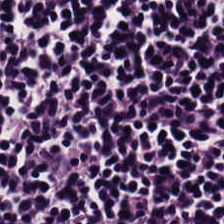Hematoxylin-and-eosin stained section · brightfield microscopy — Q: What is shown here?
A: Lymphocyte aggregate.
